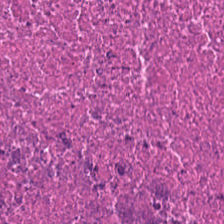Hematoxylin and eosin. Finding — necrotic debris.
